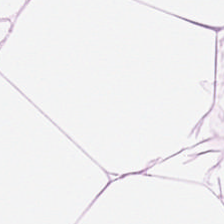Hematoxylin and eosin.
Showing adipose tissue.
